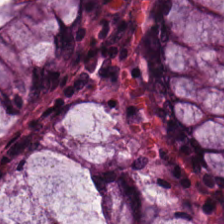H&E-stained tissue section. 0.5 microns per pixel.
This field is non-neoplastic colon mucosa.
